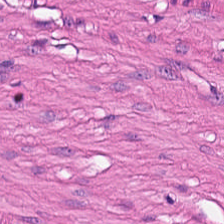Stain: H&E.
Tissue type: smooth muscle.
